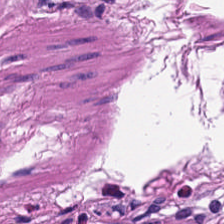H&E stain.
This field is smooth-muscle tissue.
